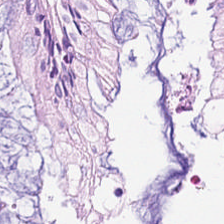H&E · FFPE — The tissue here is normal colonic mucosa.
